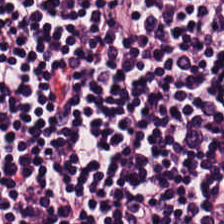Q: What tissue is shown?
A: This is lymphoid infiltrate.
